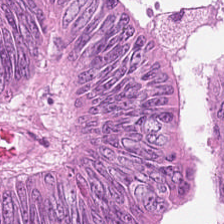The classification is colorectal adenocarcinoma.
